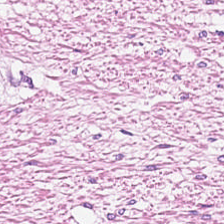Hematoxylin and eosin. 224×224 pixel tile.
The tissue class is smooth muscle.
